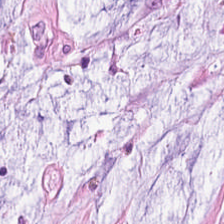H&E-stained tissue section; 0.5 µm/px; FFPE.
Finding → mucus.
